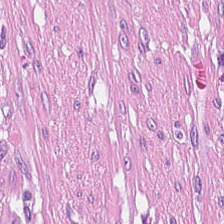Stain: hematoxylin and eosin.
Acquisition: brightfield.
Preparation: FFPE tissue section.
Predominant tissue: desmoplastic stroma.
